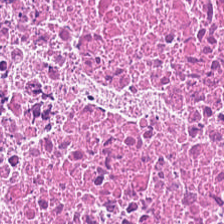Stain: H&E stain.
Tissue: necrotic debris.
